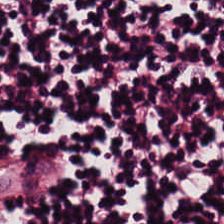0.5 microns per pixel; H&E stain; formalin-fixed paraffin-embedded section. The predominant tissue is lymphocyte aggregate.
